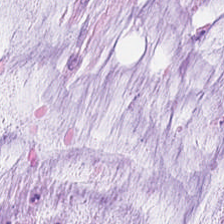Hematoxylin and eosin; 0.5 microns per pixel — Histology — extracellular mucin.
